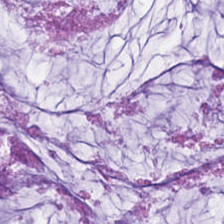Q: Identify the tissue.
A: Extracellular mucin.
